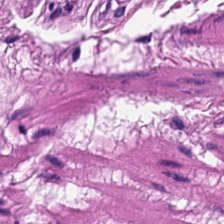H&E — Tissue class = smooth-muscle tissue.
